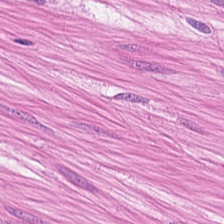H&E-stained section; the field shows smooth muscle.
